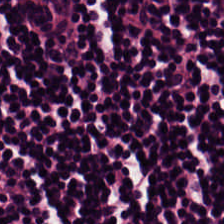Stain: H&E-stained tissue section.
Tissue type: lymphocytes.
